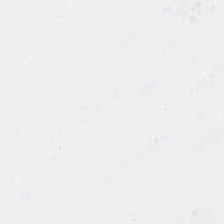H&E-stained tissue section. Finding — background.
